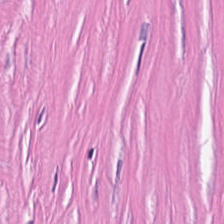H&E patch showing tumor stroma.
